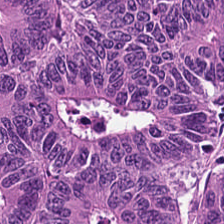H&E stain. 0.5 µm per pixel. Tissue class — colorectal adenocarcinoma.
